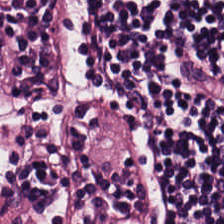Hematoxylin and eosin — Predominantly lymphocytic infiltrate.
